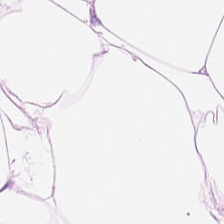Whole-slide-image patch · H&E stain · 0.5 µm per pixel — Predominant tissue — adipocytes.
